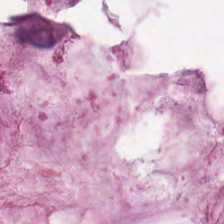Predominantly extracellular mucin.
